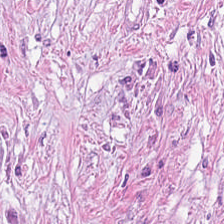Formalin-fixed paraffin-embedded section · hematoxylin and eosin · brightfield. This patch shows desmoplastic stroma.
